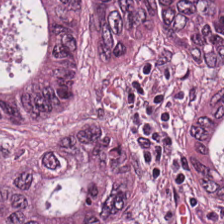Q: Classify this patch.
A: Adenocarcinoma.
